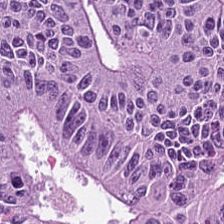H&E stain · brightfield microscopy · 20× equivalent magnification. Adenocarcinoma.
